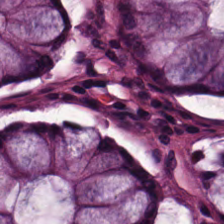Whole-slide-image patch; 20× equivalent magnification; hematoxylin and eosin. Q: What type of tissue is this?
A: It is normal colonic mucosa.
